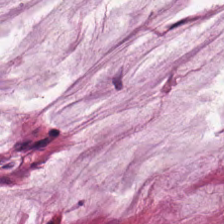H&E stain · brightfield.
Q: What is shown here?
A: It is mucus.
